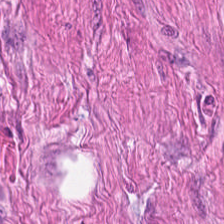H&E stain. 224×224 pixel tile — Classification = smooth muscle.
